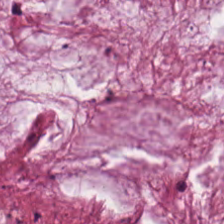Formalin-fixed paraffin-embedded section; hematoxylin-and-eosin stained section.
Q: What type of tissue is this?
A: This is mucus.
